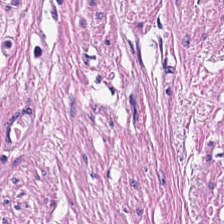Hematoxylin and eosin — Predominantly muscularis.
